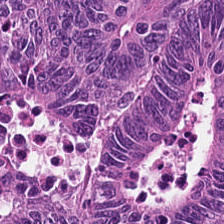H&E.
Q: Classify this patch.
A: It is malignant epithelium.
